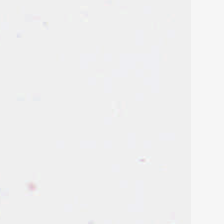H&E stain — The classification is no tissue.
